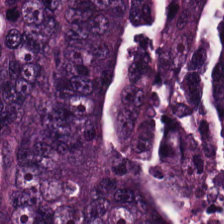Impression → colorectal adenocarcinoma.
